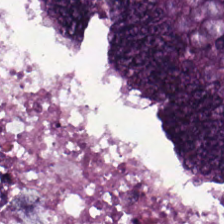H&E stain. Tissue = malignant epithelium.
